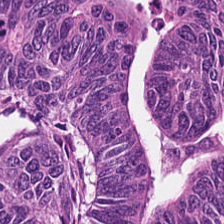Stain: hematoxylin-and-eosin stained section.
Acquisition: brightfield.
Classification: adenocarcinoma.
